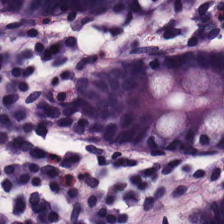Brightfield microscopy; H&E stain.
Showing normal colon mucosa.
